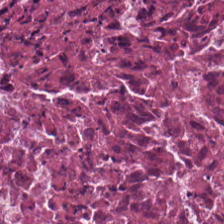{"tissue_type": "debris"}
